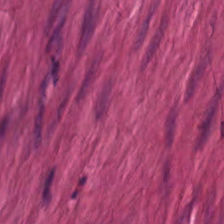H&E stain; 224×224 px tile. Predominantly smooth-muscle tissue.
